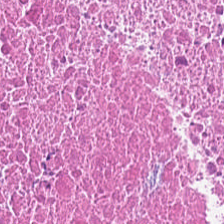H&E-stained tissue section — This field is necrotic debris.
